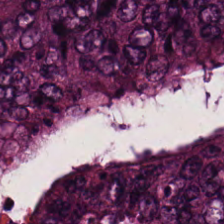Hematoxylin-and-eosin stained section. 224×224 pixel tile.
Tissue = colorectal adenocarcinoma.
